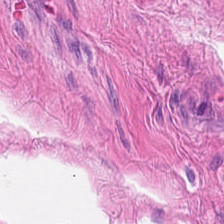Tissue class = smooth-muscle tissue.
